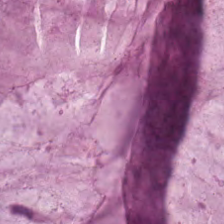Brightfield · H&E-stained tissue section.
The tissue here is mucin.
